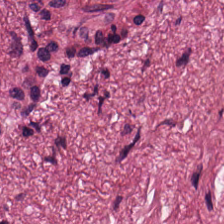Hematoxylin-and-eosin stained section.
This patch shows tumor-associated stroma.
